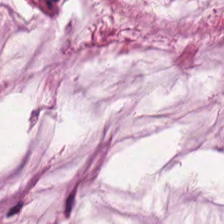Stain: H&E-stained tissue section.
Resolution: 0.5 µm/px.
Preparation: FFPE.
Tissue type: mucin.
